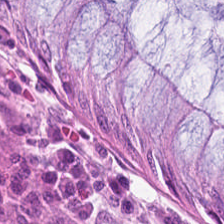224×224 pixel tile. Hematoxylin-and-eosin stained section.
The predominant tissue is normal colonic mucosa.
